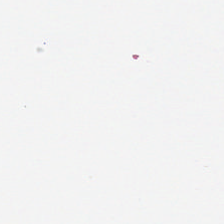This patch shows background (no tissue).
